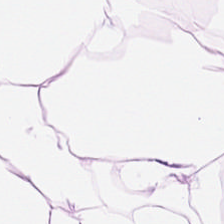FFPE tissue section. H&E. Brightfield microscopy.
Tissue class — adipose.
